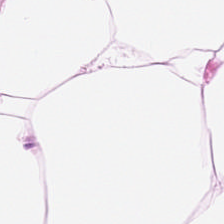Hematoxylin and eosin · formalin-fixed paraffin-embedded section. Adipose.
